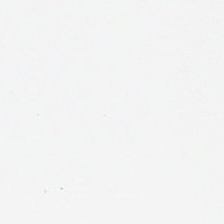Histology → background.
